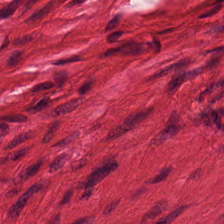H&E — smooth-muscle tissue.
